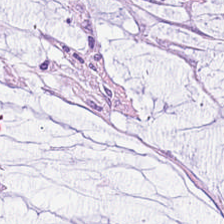Stain: hematoxylin-and-eosin stained section.
Preparation: FFPE tissue section.
Tissue class: extracellular mucin.
